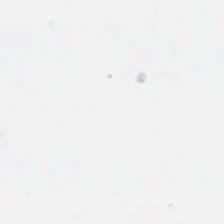224×224 px tile · H&E stain. Content = no tissue.
